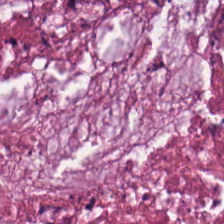Q: What does this patch show?
A: Necrotic debris.
